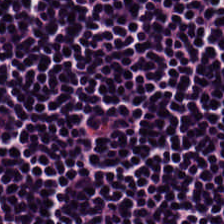H&E-stained tissue section showing lymphocyte aggregate.
